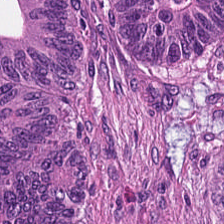Whole-slide-image patch · hematoxylin and eosin — {"tissue_type": "malignant epithelium"}
